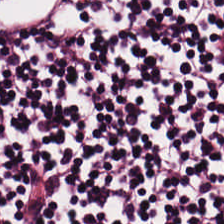H&E-stained tissue section · 0.5 µm per pixel.
Tissue — lymphocyte aggregate.
